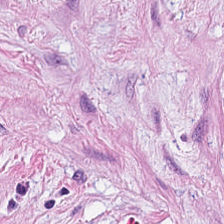H&E stain.
Desmoplastic stroma.
